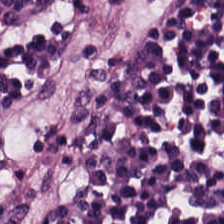H&E stain; 0.5 µm/px — Impression → lymphocytic infiltrate.
